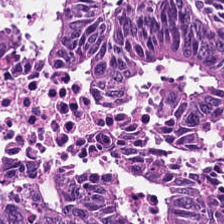H&E stain · brightfield — Predominantly colorectal adenocarcinoma.
